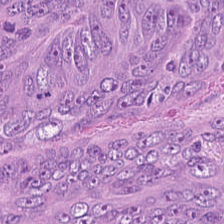The predominant tissue is colorectal adenocarcinoma.
